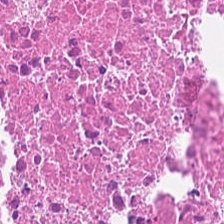Formalin-fixed paraffin-embedded section. Brightfield microscopy. Hematoxylin-and-eosin stained section.
Classification: necrotic debris.
